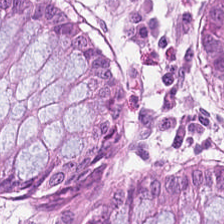Hematoxylin and eosin · FFPE tissue section — Predominant tissue = normal colonic mucosa.
